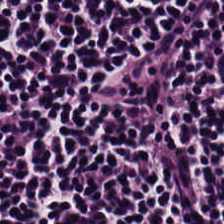Formalin-fixed paraffin-embedded section; H&E stain; 224×224 pixel tile — Lymphocyte aggregate.
